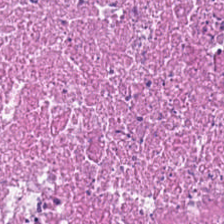H&E stain. This field is cellular debris.
